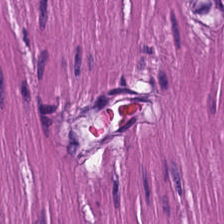WSI patch · hematoxylin-and-eosin stained section · 224×224 px tile. The predominant tissue is smooth muscle.
